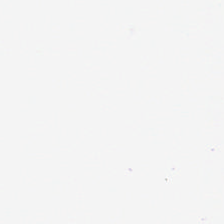Stain: H&E.
Acquisition: brightfield.
Field content: empty background.
